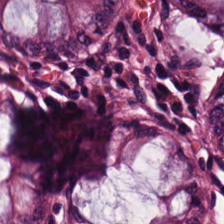Stain: H&E.
Predominant tissue: benign colonic mucosa.
